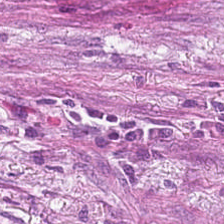Stain: hematoxylin-and-eosin stained section.
Tile size: 224×224 px patch.
Predominant tissue: tumor stroma.
